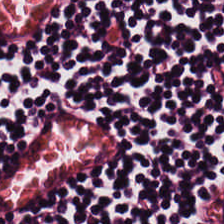H&E.
Predominantly lymphoid infiltrate.
